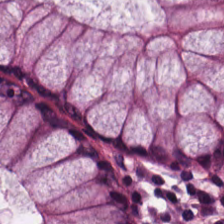H&E stain. This field is normal colonic mucosa.
